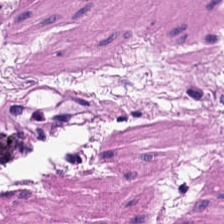H&E-stained tissue section — This field is smooth muscle.
